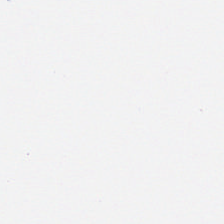Stain: hematoxylin and eosin.
Resolution: 0.5 µm per pixel.
Classification: empty background.
